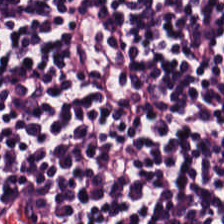H&E-stained tissue section.
Q: Classify this patch.
A: Lymphocytes.
